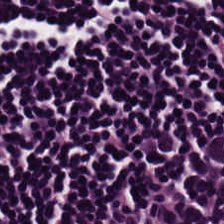H&E-stained tissue section.
Q: What type of tissue is this?
A: Lymphocyte aggregate.
